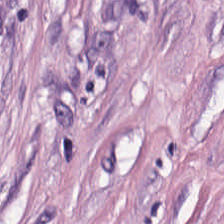224×224 px patch · H&E · FFPE tissue section — Tumor-associated stroma.
